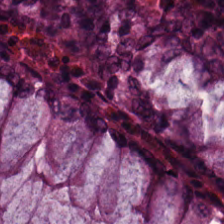H&E.
Tissue: benign colonic mucosa.
